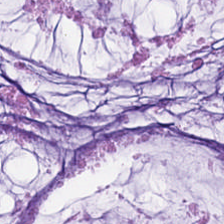The predominant tissue is extracellular mucin.
